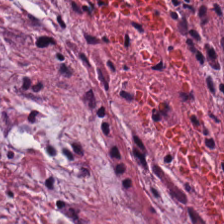Classification: desmoplastic stroma.
